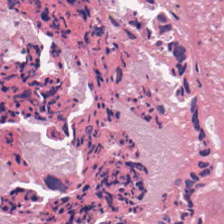H&E-stained tissue section. The tissue type is necrotic debris.
